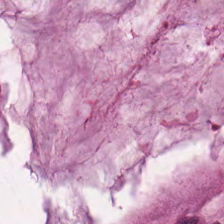224×224 px tile. Hematoxylin and eosin. Histology → extracellular mucin.
